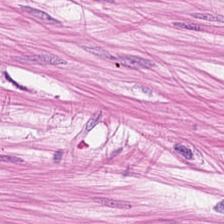224×224 px tile · hematoxylin-and-eosin stained section — {"tissue_type": "smooth muscle"}
